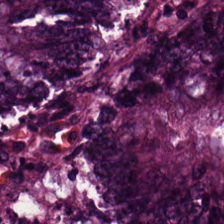0.5 microns per pixel; formalin-fixed paraffin-embedded section; hematoxylin and eosin. Tissue — adenocarcinoma.
